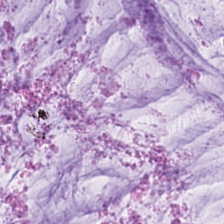{"tissue_type": "mucus"}
